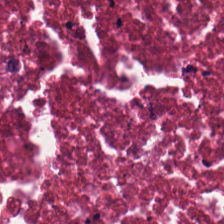H&E-stained tissue section · 224×224 px tile — The predominant tissue is necrotic debris.
